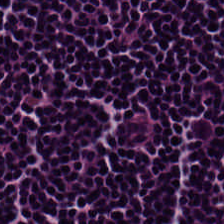H&E stain. Q: What does this patch show?
A: The field shows lymphoid infiltrate.
